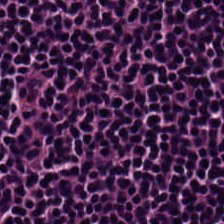The predominant tissue is lymphocytes.
